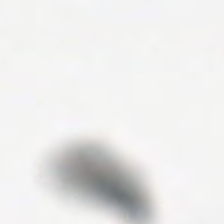Hematoxylin and eosin. Q: What is shown in this field?
A: The field shows background.
